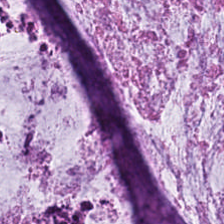{"tissue_type": "mucus"}
